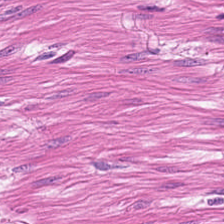Stain: hematoxylin-and-eosin stained section.
Tissue type: smooth muscle.
